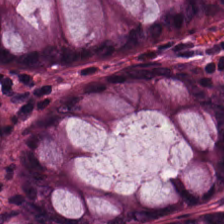Tissue — normal colon mucosa.
